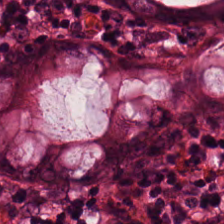H&E-stained tissue section — Predominant tissue — normal colonic mucosa.
